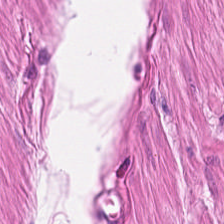Tissue class: smooth muscle.
